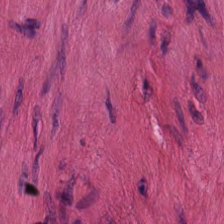20× equivalent magnification; H&E-stained tissue section; brightfield. The tissue type is smooth muscle.
